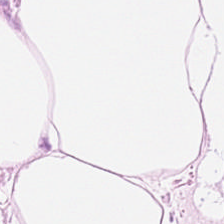Hematoxylin and eosin — Adipose tissue.
